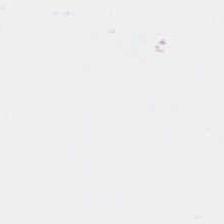H&E · 224×224 px tile — This field is background (no tissue).
